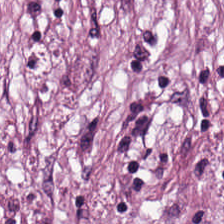H&E-stained tissue section; 0.5 microns per pixel; 224×224 px tile.
Finding — tumor stroma.
